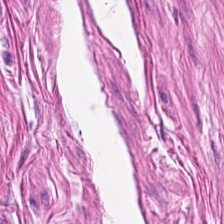H&E-stained tissue section — Q: What is shown in this field?
A: Smooth muscle.
